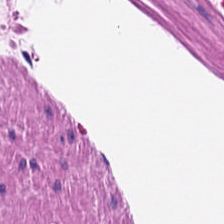H&E-stained tissue section — The tissue here is muscularis.
